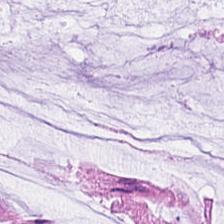H&E; 224×224 px patch — Showing normal colon mucosa.
